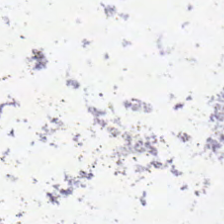H&E-stained tissue section — Histology → background (no tissue).
